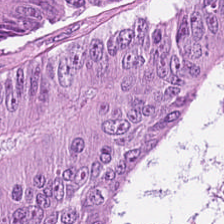H&E. Brightfield.
Tissue type = malignant epithelium.
